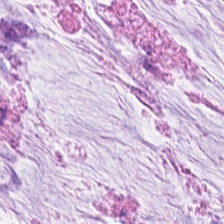Hematoxylin and eosin; 224×224 px tile. The predominant tissue is extracellular mucin.
